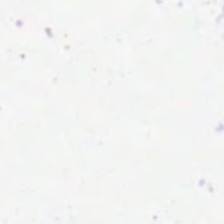Stain: H&E-stained tissue section.
Field content: no tissue.
